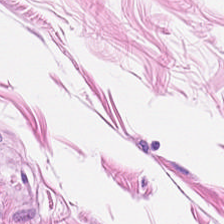Hematoxylin and eosin.
The tissue here is smooth muscle.
